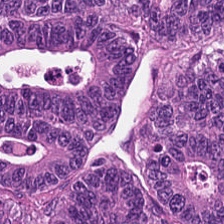Stain: H&E stain.
Tissue: malignant epithelium.
